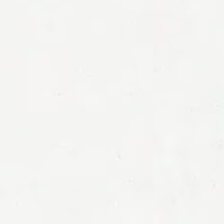Classification — background (no tissue).
